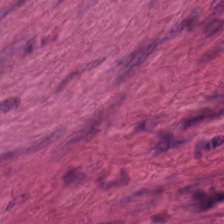Hematoxylin and eosin. The predominant tissue is smooth muscle.
